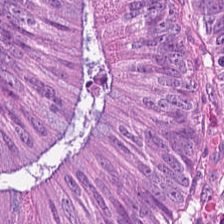H&E-stained tissue section. Colorectal adenocarcinoma epithelium.
